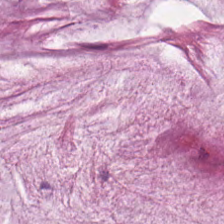Predominantly mucin.
